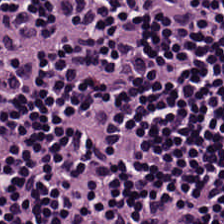224×224 px tile · H&E stain.
Q: What is the predominant tissue type?
A: It is lymphocytic infiltrate.
